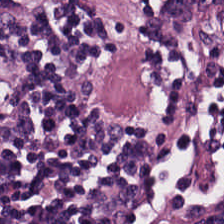Stain: hematoxylin and eosin.
Acquisition: brightfield microscopy.
Resolution: 0.5 µm/px.
Tissue class: lymphoid infiltrate.
